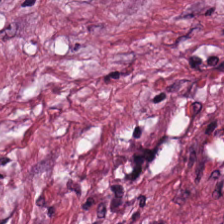FFPE; hematoxylin-and-eosin stained section; WSI patch. {"tissue_type": "desmoplastic stroma"}
